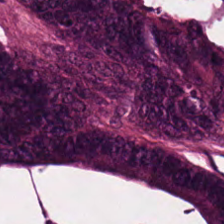Stain: H&E.
Tissue type: adenocarcinoma.
